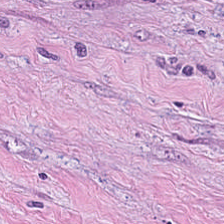H&E. Finding — tumor stroma.
